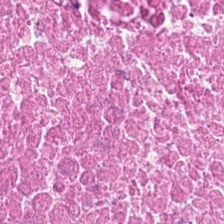Stain: H&E-stained tissue section.
Acquisition: brightfield microscopy.
Predominant tissue: debris.
